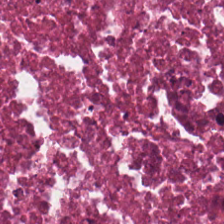Hematoxylin and eosin. Predominantly necrotic debris.
